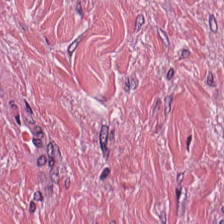Hematoxylin-and-eosin stained section — Q: What is shown here?
A: It is tumor-associated stroma.
